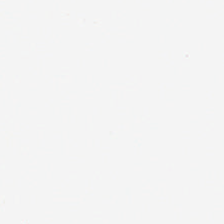0.5 microns per pixel. H&E-stained tissue section.
Q: What does this patch show?
A: It is background.
